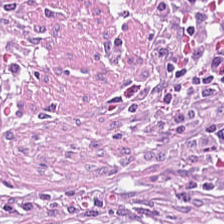Hematoxylin-and-eosin stained section — The tissue here is tumor-associated stroma.
